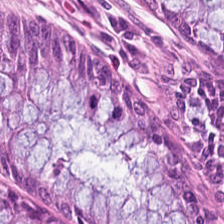Stain: H&E stain.
Tissue class: benign colonic mucosa.
